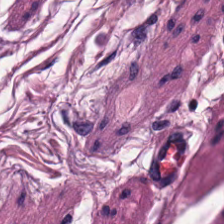H&E. Smooth-muscle tissue.
